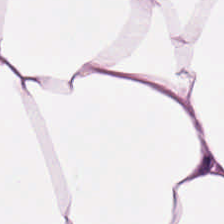H&E stain.
This field is adipose tissue.
